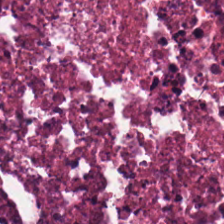H&E — This field is necrotic debris.
